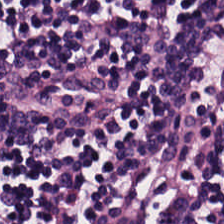H&E stain. Tissue = lymphocyte aggregate.
